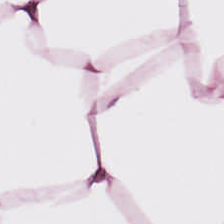Hematoxylin and eosin; 0.5 µm per pixel — Predominant tissue: fat tissue.
